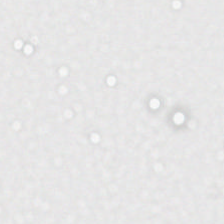Stain: H&E stain.
Acquisition: WSI patch.
Classification: empty background.
